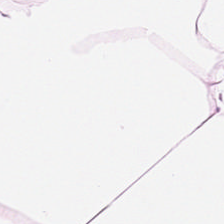Hematoxylin and eosin · FFPE tissue section. The predominant tissue is adipose.
